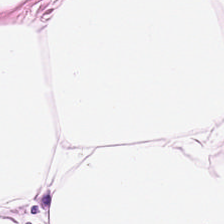Stain: H&E.
Predominant tissue: adipose.
